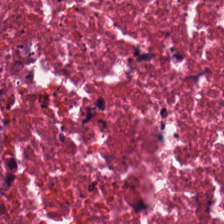H&E.
Necrotic debris.
